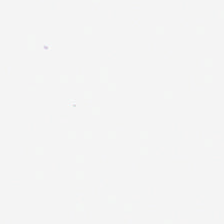Empty field — background.
